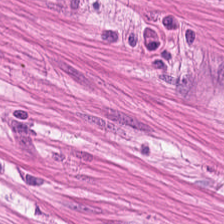Brightfield microscopy · FFPE tissue section · H&E-stained tissue section — The tissue is muscularis.
